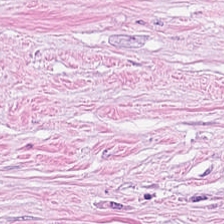Stain: hematoxylin-and-eosin stained section.
Acquisition: whole-slide-image patch.
Tissue class: tumor stroma.
